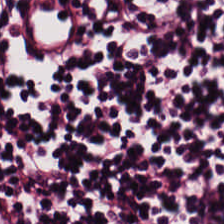The classification is lymphoid infiltrate.
